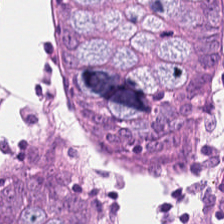224×224 pixel tile. H&E. The classification is benign colonic mucosa.
